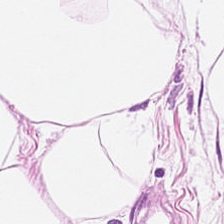Stain: H&E-stained tissue section.
Tissue: adipocytes.
